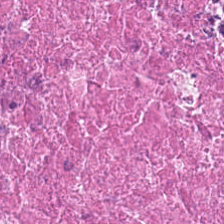WSI patch. 224×224 px tile. Hematoxylin and eosin — The classification is cellular debris.
